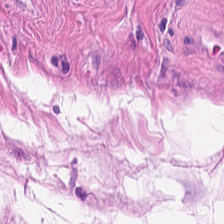Hematoxylin-and-eosin stained section — Predominantly smooth muscle.
